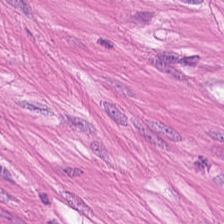H&E-stained tissue section.
Smooth muscle.
